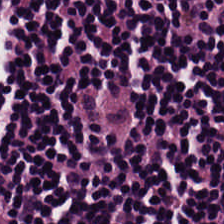{"tissue_type": "lymphoid infiltrate"}
